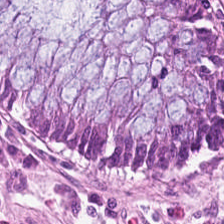224×224 px tile; hematoxylin-and-eosin stained section — Tissue type = non-neoplastic colon mucosa.
